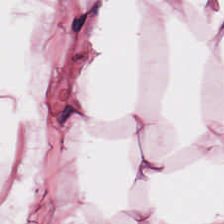Predominant tissue: adipose.
